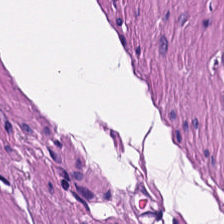Hematoxylin-and-eosin stained section. Brightfield. The predominant tissue is smooth muscle.
